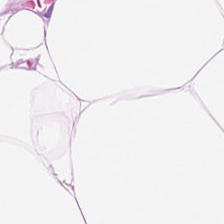H&E stain · formalin-fixed paraffin-embedded section.
Classification = adipocytes.
